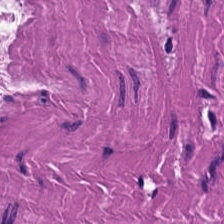Hematoxylin and eosin. 224×224 px tile.
Q: Classify this patch.
A: This is smooth-muscle tissue.
